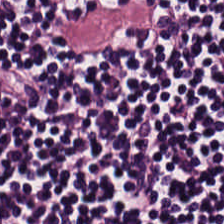H&E. FFPE — This patch shows lymphocytes.
